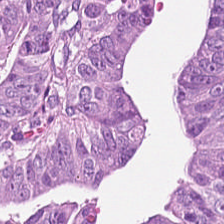H&E stain. 224×224 px patch. FFPE tissue section — Classification — colorectal adenocarcinoma epithelium.
